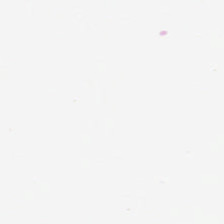Stain: H&E stain.
Field content: no tissue.
